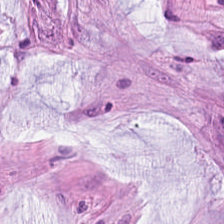Hematoxylin and eosin. 20× equivalent magnification. Showing mucin.
